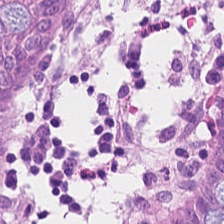Stain: hematoxylin and eosin.
Predominant tissue: benign colonic mucosa.
